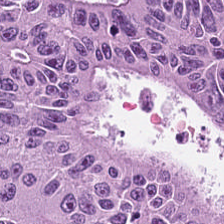224×224 px patch · hematoxylin and eosin.
Colorectal adenocarcinoma.
